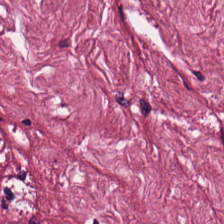FFPE; H&E-stained tissue section. Q: What is shown in this field?
A: Desmoplastic stroma.
